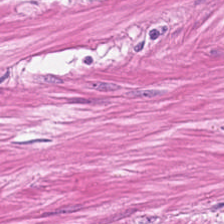224×224 pixel tile · H&E stain · 0.5 µm per pixel.
Tissue class = smooth muscle.
